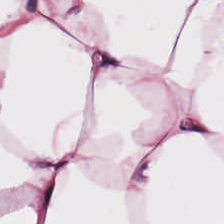This patch shows adipose tissue.
